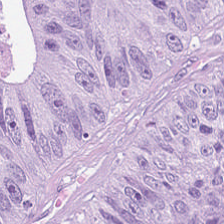H&E patch showing colorectal adenocarcinoma epithelium.
